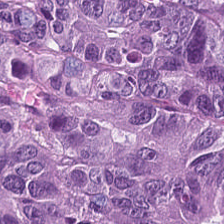Hematoxylin-and-eosin stained section; brightfield.
Q: What does this patch show?
A: It is tumor epithelium.
